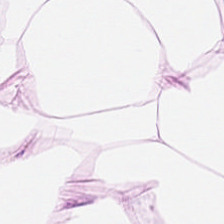Hematoxylin-and-eosin stained section · brightfield microscopy · 224×224 pixel tile.
Predominantly fat tissue.
